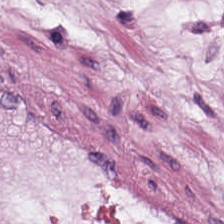Stain: hematoxylin and eosin.
Preparation: FFPE tissue section.
Tile size: 224×224 pixel tile.
Tissue type: adipocytes.
